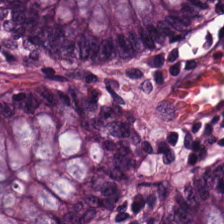H&E — non-neoplastic colon mucosa.
